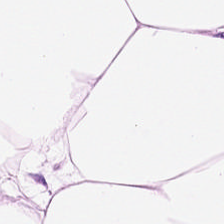Brightfield · H&E-stained tissue section · 224×224 px patch — The predominant tissue is adipose.
